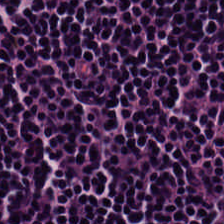The tissue is lymphocytes.
